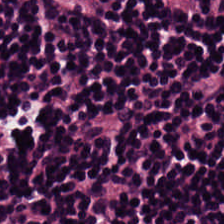Hematoxylin-and-eosin stained section — Histology — lymphocyte aggregate.
